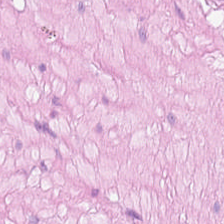224×224 px tile; H&E-stained tissue section.
Tissue class = smooth muscle.
